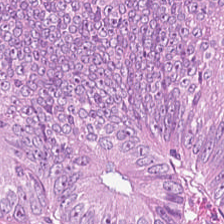H&E-stained tissue section; formalin-fixed paraffin-embedded section; 0.5 µm/px — Tissue class: malignant epithelium.
